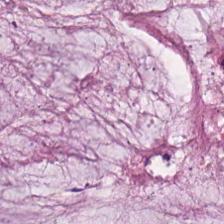Tissue class: mucin.
